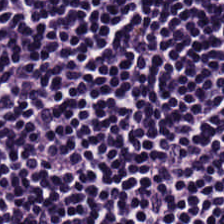Hematoxylin-and-eosin stained section; brightfield microscopy.
Predominant tissue = lymphocytic infiltrate.
